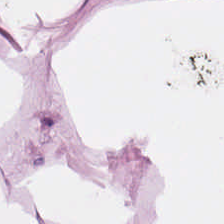H&E-stained tissue section.
Predominant tissue — fat tissue.
